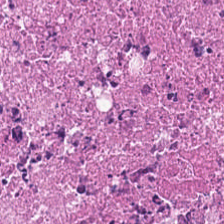This field is cellular debris.
